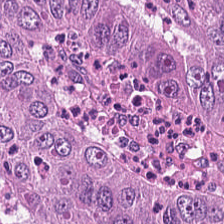H&E-stained tissue section showing malignant epithelium.
